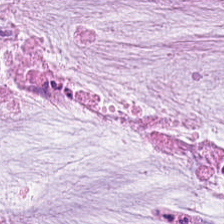H&E-stained tissue section. {"tissue_type": "mucus"}
